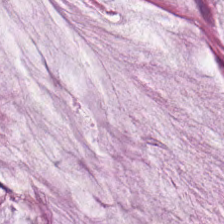H&E stain. Tissue class — mucin.
